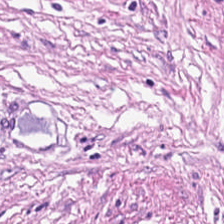FFPE. H&E stain. This field is tumor-associated stroma.
